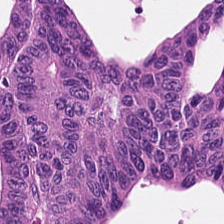FFPE · H&E stain. This patch shows colorectal adenocarcinoma epithelium.
